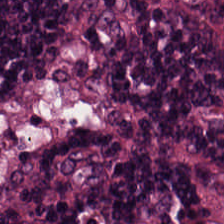Q: What is shown in this field?
A: It is lymphoid infiltrate.
